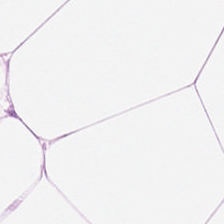Tissue class: fat tissue.
